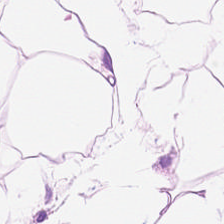20× equivalent magnification · H&E stain — Predominantly adipocytes.
